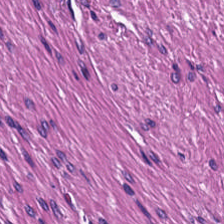H&E stain.
Predominantly smooth-muscle tissue.
